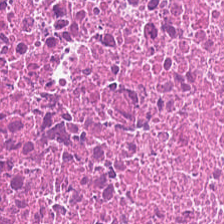H&E-stained tissue section; FFPE; 0.5 µm per pixel — Q: Identify the tissue.
A: It is cellular debris.
